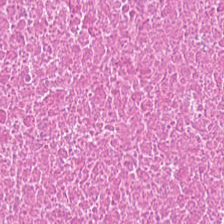H&E-stained tissue section; 20× equivalent magnification; brightfield. Q: What is shown in this field?
A: The field shows debris.
